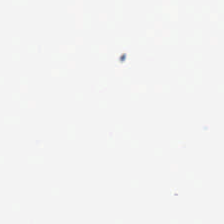H&E stain. Classification — background.
